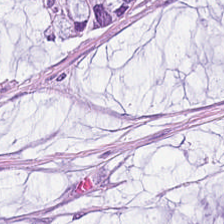Tissue = mucus.
